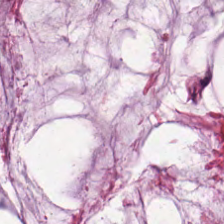224×224 pixel tile. H&E-stained tissue section. The classification is extracellular mucin.
